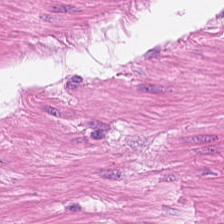Tissue class: muscularis.
